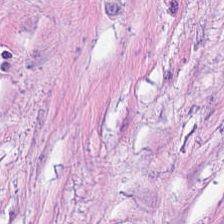Hematoxylin and eosin — Tissue class: tumor stroma.
